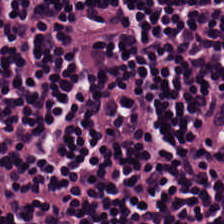Hematoxylin-and-eosin section: lymphoid infiltrate.
